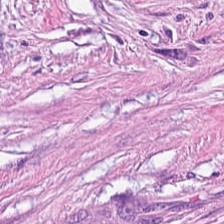Stain: H&E-stained tissue section.
Tissue class: tumor-associated stroma.
